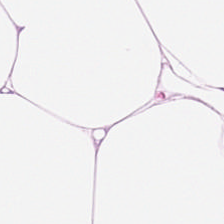Hematoxylin-and-eosin stained section · brightfield microscopy · 224×224 px patch. Showing adipose.
